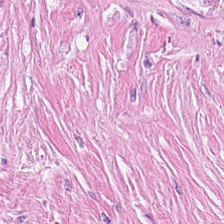Brightfield · hematoxylin and eosin.
Showing tumor stroma.
